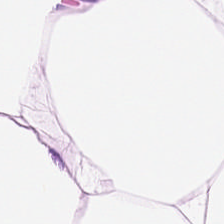Classification = fat tissue.
